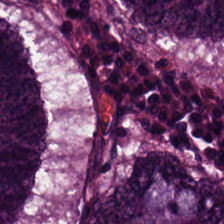Hematoxylin-and-eosin stained section. Tissue class — colorectal adenocarcinoma epithelium.
